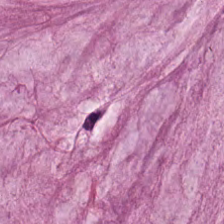Hematoxylin and eosin — Q: What does this patch show?
A: It is mucus.
